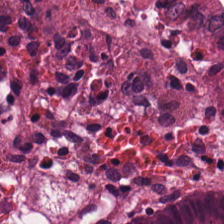Stain: H&E-stained tissue section.
Resolution: 0.5 microns per pixel.
Acquisition: whole-slide-image patch.
Tissue type: benign colonic mucosa.
